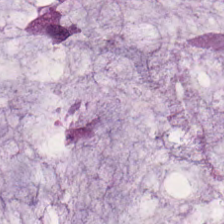Q: Identify the tissue.
A: Mucus.
